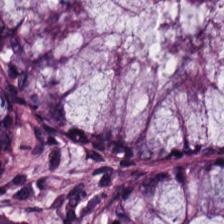224×224 pixel tile · hematoxylin and eosin.
Predominant tissue — benign colonic mucosa.
